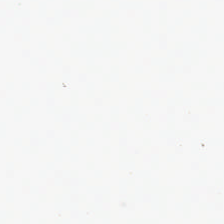FFPE; hematoxylin-and-eosin stained section.
Q: What does this patch show?
A: The field shows no tissue.
